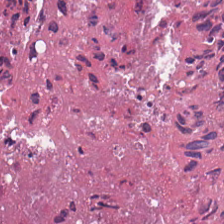This field is necrotic debris.
